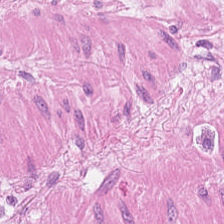Tissue class: muscularis.
